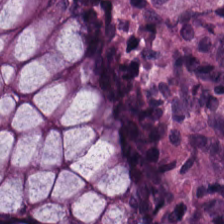Hematoxylin and eosin. 0.5 microns per pixel. 224×224 pixel tile.
This patch shows benign colonic mucosa.
